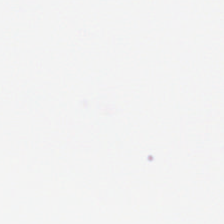Hematoxylin and eosin. Empty background.
